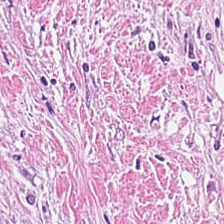H&E-stained tissue section showing tumor stroma.
